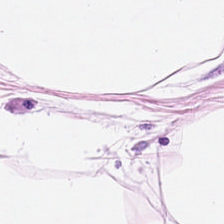H&E stain. 224×224 px patch. Formalin-fixed paraffin-embedded section — The tissue here is adipocytes.
